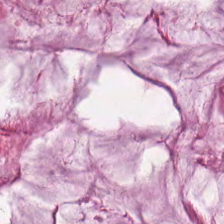Stain: H&E-stained tissue section.
Tissue class: extracellular mucin.
